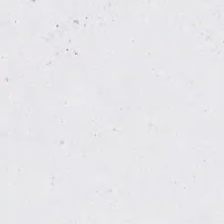Stain: H&E-stained tissue section.
Resolution: 0.5 µm/px.
Field content: empty background.
